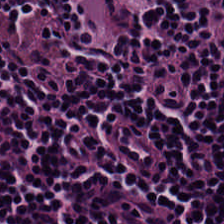H&E stain.
Tissue class = lymphocytic infiltrate.
